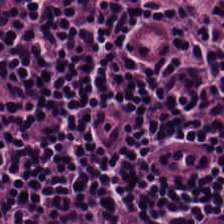0.5 µm/px; hematoxylin and eosin. Showing lymphoid infiltrate.
